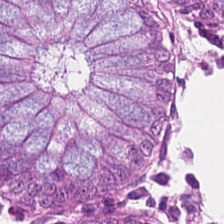H&E.
The tissue type is non-neoplastic colon mucosa.
